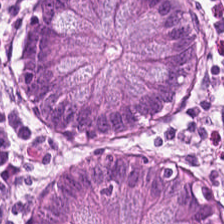Impression — normal colonic mucosa.
